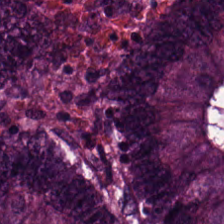H&E stain — Q: What tissue type is shown here?
A: Tumor epithelium.
